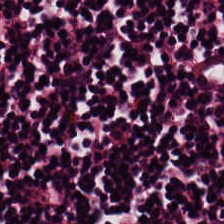H&E-stained tissue section — Classification: lymphocytic infiltrate.
